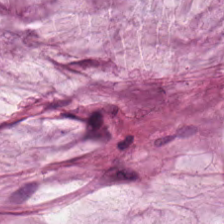Q: Identify the tissue.
A: This is mucus.
